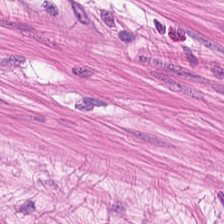H&E-stained tissue section · 0.5 microns per pixel.
The predominant tissue is muscularis.
